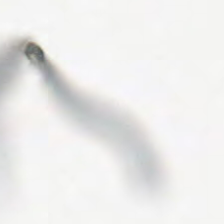Hematoxylin and eosin.
Q: What is shown here?
A: The field shows empty background.
